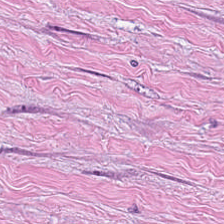224×224 pixel tile. FFPE. H&E-stained tissue section.
This patch shows tumor-associated stroma.
